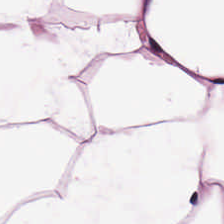H&E; 224×224 px tile; whole-slide-image patch — Q: What tissue is shown?
A: This is adipocytes.
